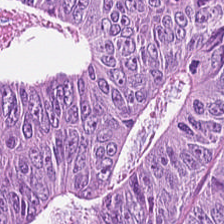Showing colorectal adenocarcinoma epithelium.
